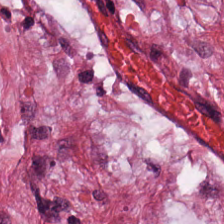{"tissue_type": "tumor stroma"}
